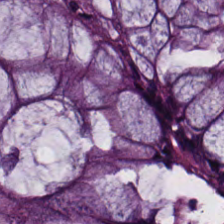H&E-stained tissue section.
Showing normal colon mucosa.
